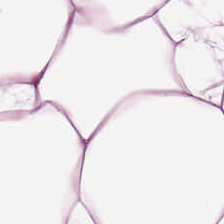H&E-stained tissue section · 224×224 px tile. Q: What tissue type is shown here?
A: This is adipose tissue.
